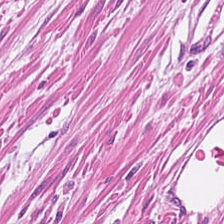224×224 px tile; H&E.
Predominantly muscularis.
